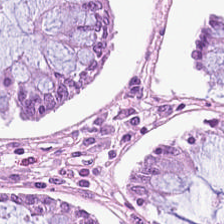H&E-stained tissue section.
Q: Classify this patch.
A: This is non-neoplastic colon mucosa.
